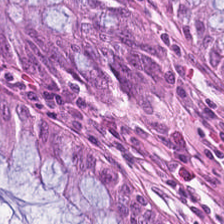224×224 pixel tile · hematoxylin-and-eosin stained section · formalin-fixed paraffin-embedded section. Tissue class = benign colonic mucosa.
